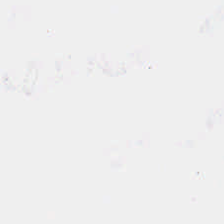Empty field — background.
